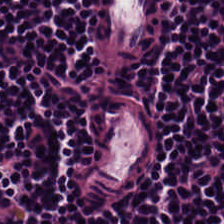Hematoxylin-and-eosin stained section. 224×224 px tile — Q: What is shown in this field?
A: It is lymphocytes.
